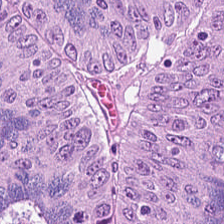0.5 microns per pixel; H&E stain — The predominant tissue is malignant epithelium.
